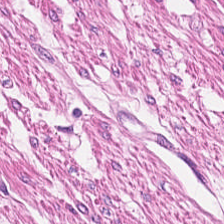H&E; formalin-fixed paraffin-embedded section. Classification = muscularis.
